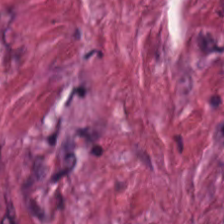H&E-stained tissue section · 20× equivalent magnification. {"tissue_type": "tumor-associated stroma"}
